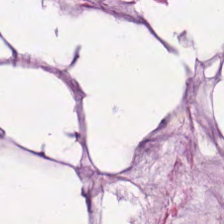20× equivalent magnification. 224×224 px patch. Hematoxylin-and-eosin stained section — Q: What is shown in this field?
A: Mucin.
